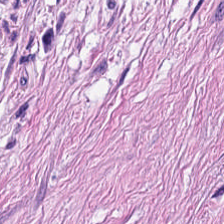H&E — Smooth-muscle tissue.
